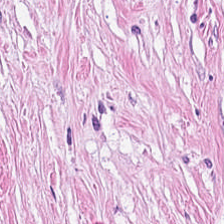Hematoxylin and eosin.
Cancer-associated stroma.
